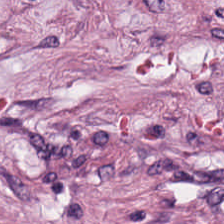Brightfield microscopy; hematoxylin and eosin; FFPE.
Predominantly cancer-associated stroma.
